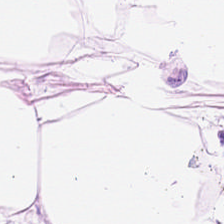Q: What tissue is shown?
A: Adipose tissue.
